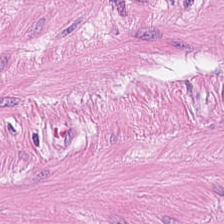224×224 px patch · H&E-stained tissue section. Classification: smooth muscle.
